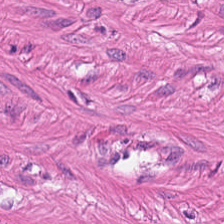H&E-stained tissue section — Q: What tissue type is shown here?
A: The field shows smooth muscle.
